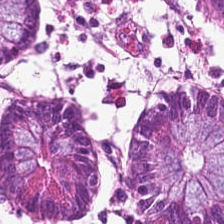H&E stain; 224×224 px patch.
This field is benign colonic mucosa.
